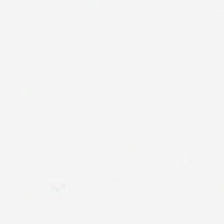H&E stain. No tissue present; background only.
